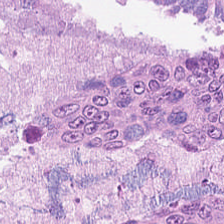H&E-stained tissue section. Predominantly colorectal adenocarcinoma epithelium.
